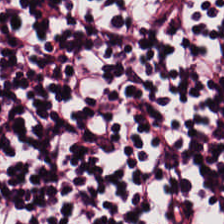Hematoxylin-and-eosin stained section. The tissue here is lymphocytic infiltrate.
